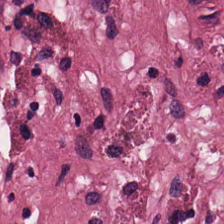0.5 µm/px · H&E-stained tissue section. Showing tumor-associated stroma.
